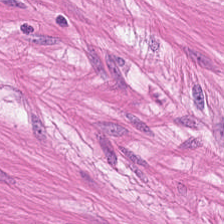H&E.
Q: Identify the tissue.
A: The field shows smooth muscle.
